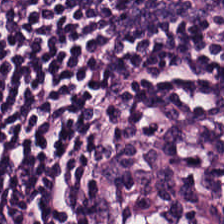Stain: hematoxylin-and-eosin stained section.
Acquisition: brightfield microscopy.
Tile size: 224×224 px tile.
Tissue: lymphocytic infiltrate.
